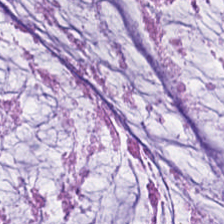Hematoxylin and eosin.
Mucin.
